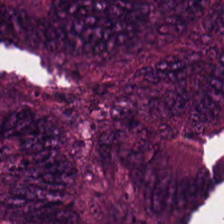Hematoxylin-and-eosin stained section. Predominantly colorectal adenocarcinoma epithelium.
